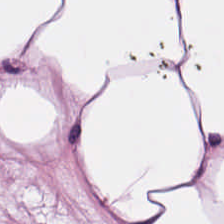H&E stain. Showing adipocytes.
